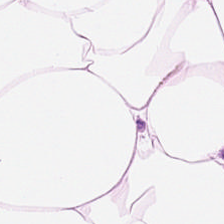Stain: H&E-stained tissue section.
Tissue class: fat tissue.
